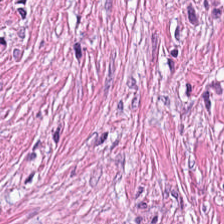H&E-stained tissue section — The tissue here is tumor-associated stroma.
